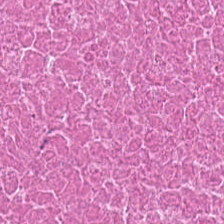H&E stain; brightfield; formalin-fixed paraffin-embedded section — Histology → cellular debris.
